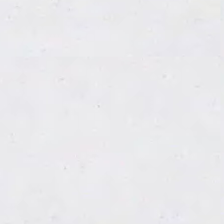Hematoxylin and eosin. This field is background (no tissue).
